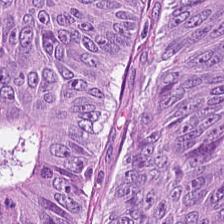H&E stain — Q: Identify the tissue.
A: Tumor epithelium.
